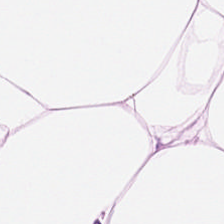Finding → adipose.
